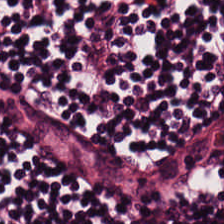H&E-stained tissue section.
This field is lymphoid infiltrate.
